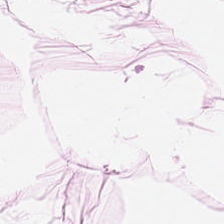Q: What is shown in this field?
A: It is fat tissue.
